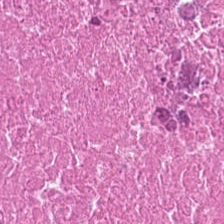H&E.
Cellular debris.
